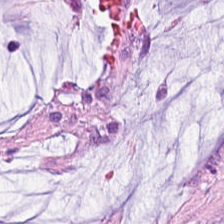Stain: H&E-stained tissue section.
Resolution: 0.5 µm per pixel.
Acquisition: brightfield microscopy.
Tissue class: mucus.
